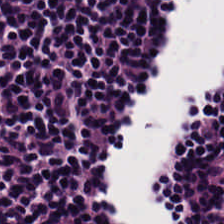Hematoxylin-and-eosin stained section. Classification: lymphocytic infiltrate.
